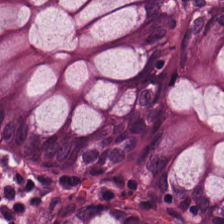Hematoxylin-and-eosin stained section. The predominant tissue is non-neoplastic colon mucosa.
